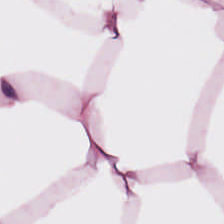Hematoxylin and eosin.
Adipose tissue.
